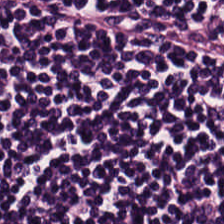H&E — Q: What does this patch show?
A: This is lymphoid infiltrate.
